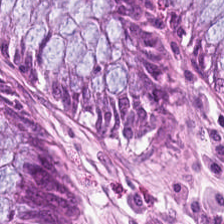Stain: hematoxylin-and-eosin stained section.
Classification: non-neoplastic colon mucosa.
